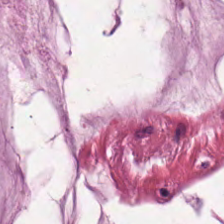{"tissue_type": "mucin"}
